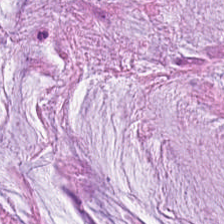H&E-stained tissue section.
This field is mucus.
